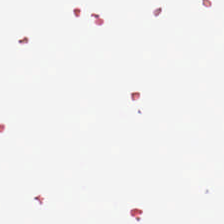Stain: H&E stain.
Preparation: FFPE tissue section.
Field content: background.
